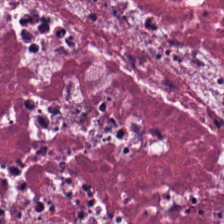H&E stain.
Q: What is shown in this field?
A: It is debris.
